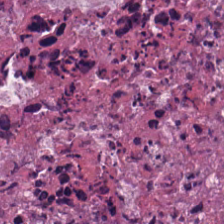Tissue class — cellular debris.
